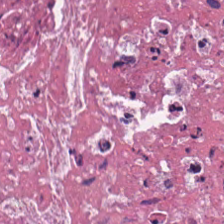Histology → necrotic debris.
